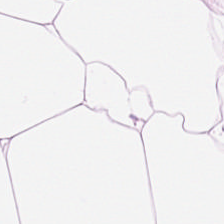Whole-slide-image patch; H&E. {"tissue_type": "adipocytes"}
